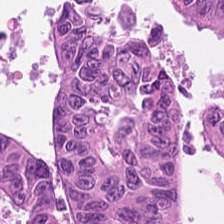0.5 µm per pixel · H&E · FFPE.
Q: What type of tissue is this?
A: This is colorectal adenocarcinoma.
